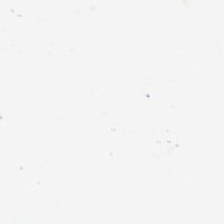This field is background (no tissue).
